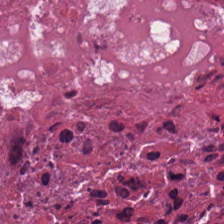224×224 px patch; H&E; FFPE — The classification is cellular debris.
